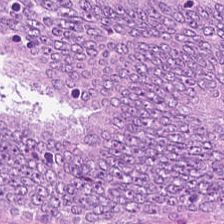Predominantly adenocarcinoma.
